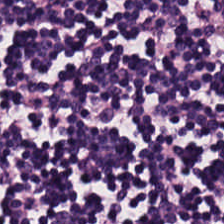20× equivalent magnification. H&E-stained tissue section.
Tissue class: lymphocytic infiltrate.
